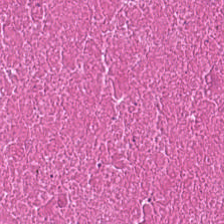Hematoxylin-and-eosin stained section. WSI patch — The predominant tissue is debris.
